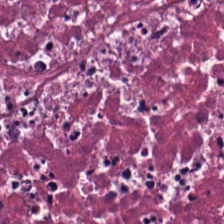H&E. Q: What type of tissue is this?
A: The field shows cellular debris.
